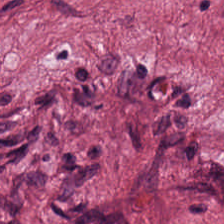Hematoxylin-and-eosin stained section.
Histology → tumor-associated stroma.
